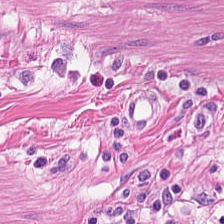The tissue is smooth muscle.
